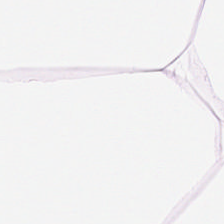Hematoxylin and eosin. Histology — adipose tissue.
